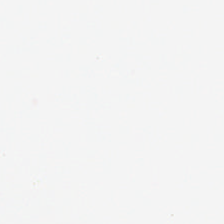Hematoxylin-and-eosin stained section — This patch shows background.
